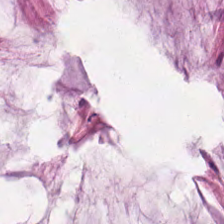0.5 µm per pixel; H&E-stained tissue section; 224×224 px tile. Q: What tissue is shown?
A: Extracellular mucin.
